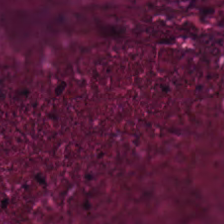H&E-stained tissue section.
{"tissue_type": "cellular debris"}
